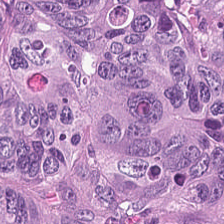Hematoxylin-and-eosin stained section; FFPE tissue section.
Predominantly colorectal adenocarcinoma epithelium.
